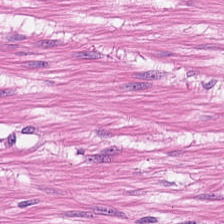Hematoxylin and eosin. FFPE tissue section. 224×224 px patch.
Tissue = muscularis.
